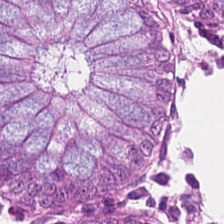The tissue class is normal colonic mucosa.
